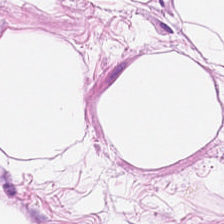0.5 µm/px; H&E-stained tissue section. Tissue type = adipose.
